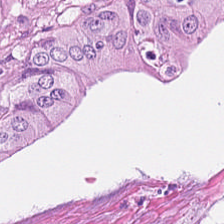Hematoxylin-and-eosin stained section. 0.5 µm/px.
The predominant tissue is adenocarcinoma.
